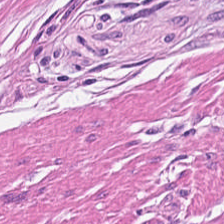224×224 px tile; H&E stain.
The tissue class is smooth muscle.
